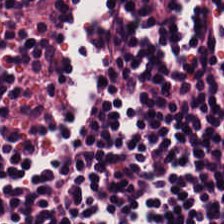The classification is lymphocytes.
